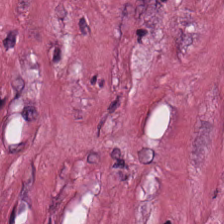H&E-stained tissue section. The tissue type is desmoplastic stroma.
